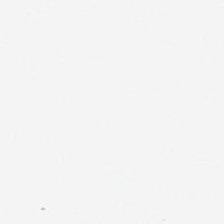WSI patch · hematoxylin and eosin · 0.5 µm per pixel. {"content": "background"}
